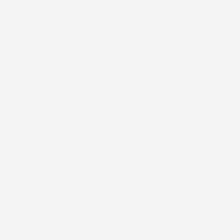Stain: H&E.
Field content: background (no tissue).
